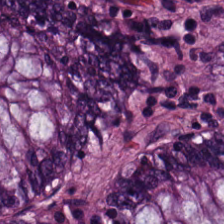H&E-stained section; the field shows normal colon mucosa.
